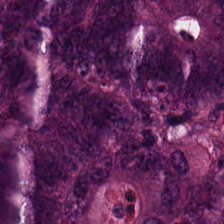Q: What tissue is shown?
A: Colorectal adenocarcinoma.
